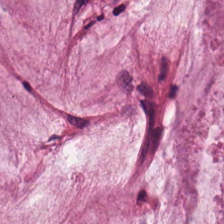224×224 pixel tile · H&E stain · brightfield — {"tissue_type": "mucin"}
